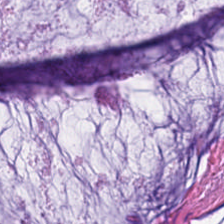Stain: H&E-stained tissue section.
Preparation: formalin-fixed paraffin-embedded section.
Predominant tissue: mucin.
